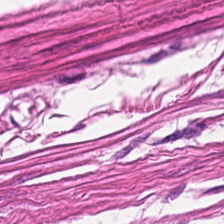Brightfield. 224×224 px tile. H&E-stained tissue section. Classification = muscularis.
